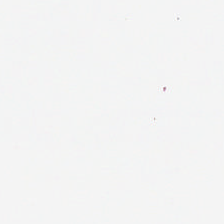Stain: H&E-stained tissue section.
Field content: empty background.
